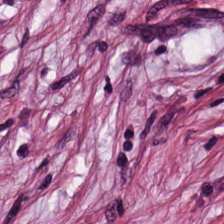The classification is desmoplastic stroma.
